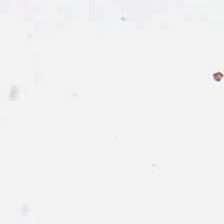The classification is empty background.
